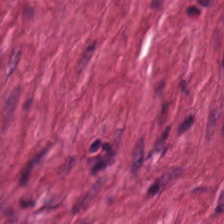H&E stain — This field is smooth-muscle tissue.
